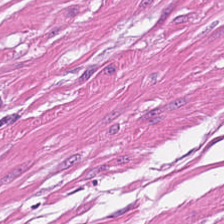Hematoxylin-and-eosin stained section. 0.5 µm/px — Finding — smooth-muscle tissue.
